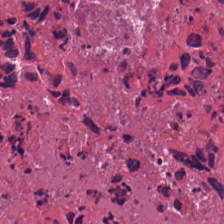H&E-stained tissue section. The tissue here is debris.
